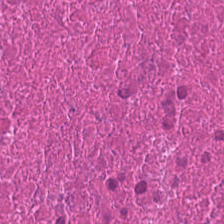H&E.
The predominant tissue is cellular debris.
